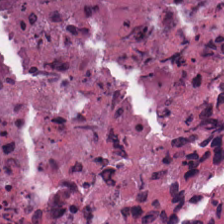224×224 px patch · whole-slide-image patch · H&E stain — This field is cellular debris.
